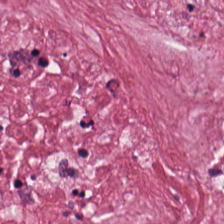224×224 px patch · hematoxylin and eosin · formalin-fixed paraffin-embedded section.
Predominant tissue — desmoplastic stroma.
